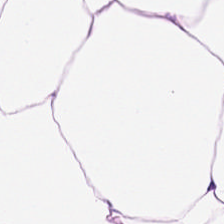{"tissue_type": "adipose tissue"}
